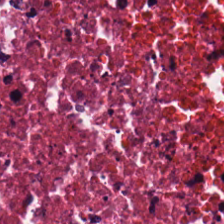H&E-stained tissue section. Q: What tissue type is shown here?
A: It is cellular debris.
